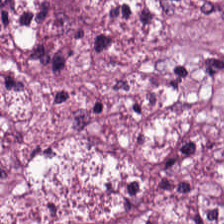H&E stain · 224×224 pixel tile · 0.5 microns per pixel. Showing tumor-associated stroma.
